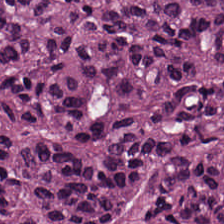0.5 µm per pixel; H&E.
The tissue type is colorectal adenocarcinoma epithelium.
